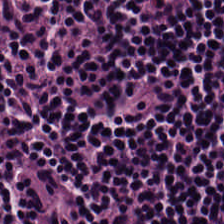H&E-stained tissue section · 224×224 px tile. Tissue class — lymphocytic infiltrate.
